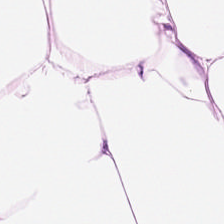Q: What tissue is shown?
A: This is adipose.
